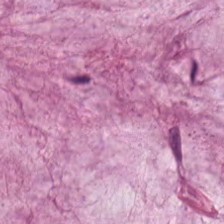Stain: H&E-stained tissue section.
Predominant tissue: mucin.
